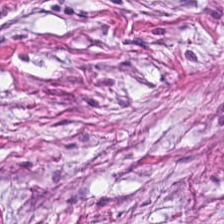Stain: H&E-stained tissue section.
Acquisition: WSI patch.
Classification: cancer-associated stroma.
